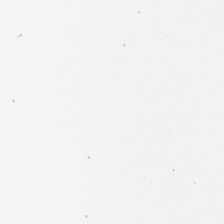FFPE. H&E — Q: What is shown in this field?
A: The field shows no tissue.
